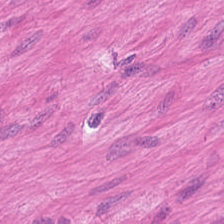Stain: hematoxylin and eosin.
Classification: smooth muscle.
